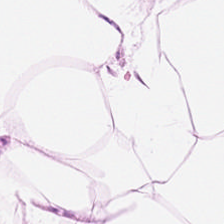H&E. 20× equivalent magnification.
Classification — adipose tissue.
